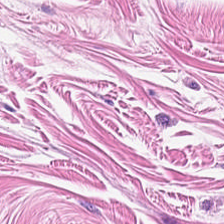Hematoxylin and eosin. 224×224 px patch. This patch shows smooth-muscle tissue.
